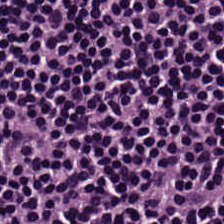{"tissue_type": "lymphocytes"}
